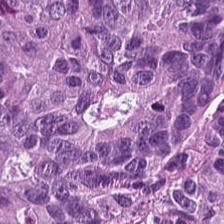H&E stain. Predominant tissue — colorectal adenocarcinoma.
